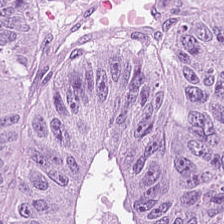H&E stain · 20× equivalent magnification — The predominant tissue is colorectal adenocarcinoma.
